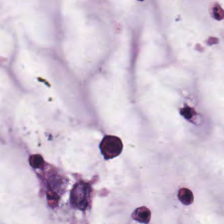H&E-stained section; the field shows extracellular mucin.
